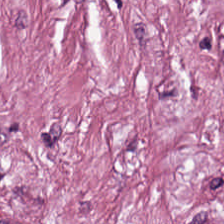Stain: H&E.
Classification: tumor stroma.
